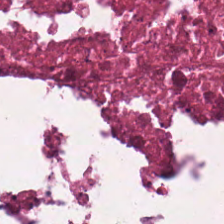H&E stain; FFPE.
The tissue here is debris.
